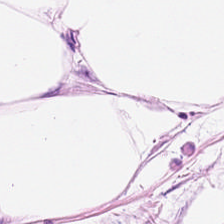Stain: H&E.
Tissue class: fat tissue.
